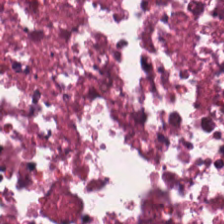224×224 px tile; hematoxylin-and-eosin stained section — Necrotic debris.
